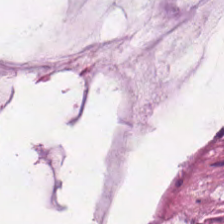The predominant tissue is extracellular mucin.
